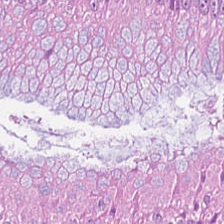H&E stain. Tumor epithelium.
